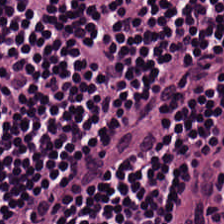224×224 px patch. H&E-stained tissue section. Brightfield — {"tissue_type": "lymphocytes"}
